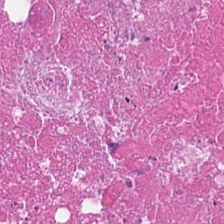FFPE tissue section; 0.5 microns per pixel; H&E stain — Predominantly necrotic debris.
